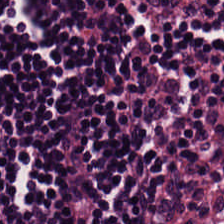H&E-stained tissue section.
Predominant tissue = lymphocyte aggregate.
